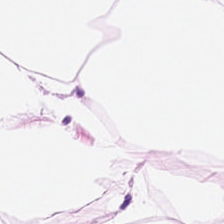H&E.
{"tissue_type": "fat tissue"}
